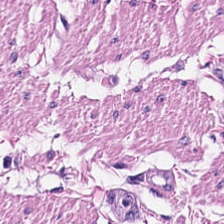H&E. Brightfield.
Smooth-muscle tissue.
